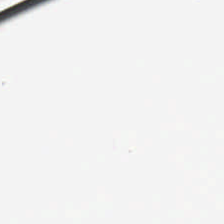Stain: H&E stain.
Classification: no tissue.
